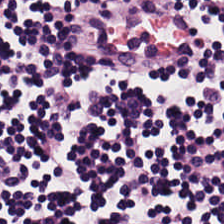Stain: hematoxylin-and-eosin stained section.
Predominant tissue: lymphocyte aggregate.
